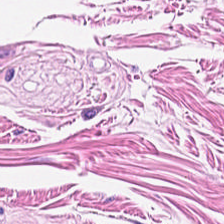H&E stain.
Tissue class: smooth muscle.
